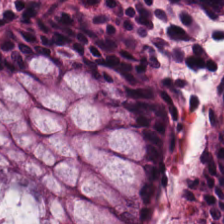0.5 µm per pixel · H&E-stained tissue section — Q: What is shown in this field?
A: Normal colonic mucosa.
